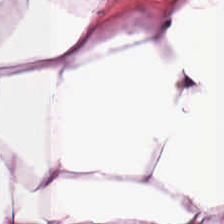224×224 pixel tile; FFPE; hematoxylin-and-eosin stained section.
Showing adipose tissue.
